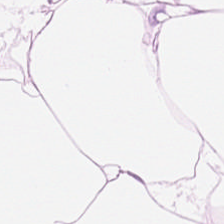Q: What does this patch show?
A: Adipose.
